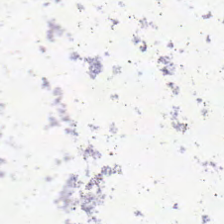Hematoxylin-and-eosin stained section.
Q: What does this patch show?
A: This is no tissue.
